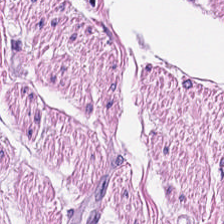H&E-stained tissue section · 224×224 px patch · brightfield. Histology — smooth muscle.
